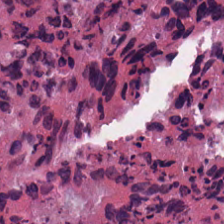Q: What is shown in this field?
A: It is cellular debris.
